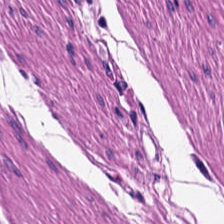Q: What is shown here?
A: Smooth-muscle tissue.
